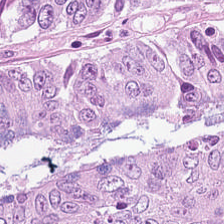Hematoxylin-and-eosin stained section. Q: What does this patch show?
A: The field shows tumor epithelium.
